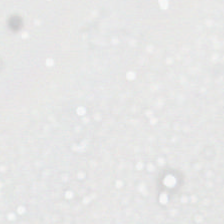Hematoxylin-and-eosin stained section.
No tissue present; background only.
